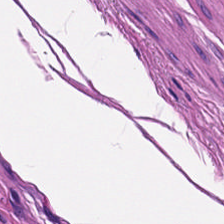Stain: hematoxylin and eosin.
Predominant tissue: muscularis.
